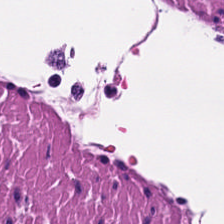FFPE. H&E — This patch shows smooth muscle.
